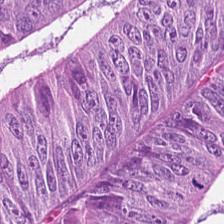Hematoxylin and eosin. FFPE tissue section.
Q: What tissue is shown?
A: Malignant epithelium.
